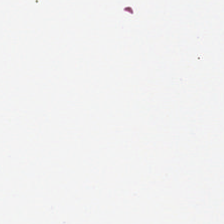Hematoxylin and eosin. This patch shows background.
